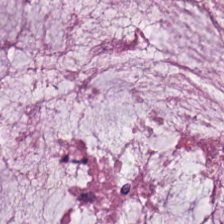H&E. Brightfield microscopy.
Tissue type: mucus.
